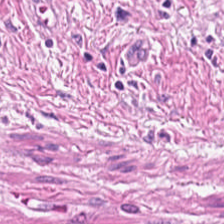224×224 px tile · H&E stain · formalin-fixed paraffin-embedded section. Q: Classify this patch.
A: Smooth-muscle tissue.
